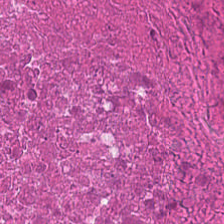Stain: hematoxylin and eosin.
Tile size: 224×224 pixel tile.
Classification: debris.
